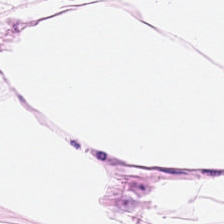H&E stain — Q: What tissue type is shown here?
A: This is adipose tissue.
